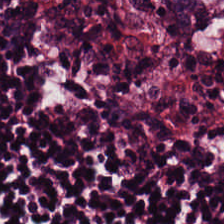The tissue here is lymphocytes.
